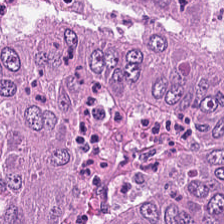Q: What is shown here?
A: It is tumor epithelium.
